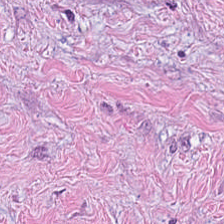Stain: hematoxylin-and-eosin stained section.
Tissue: tumor-associated stroma.
